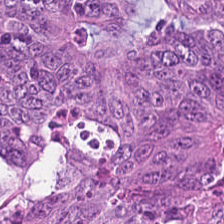H&E-stained tissue section — Q: What type of tissue is this?
A: It is tumor epithelium.
